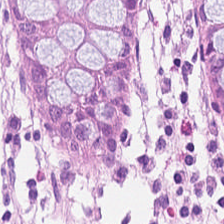Stain: H&E-stained tissue section.
Predominant tissue: non-neoplastic colon mucosa.
